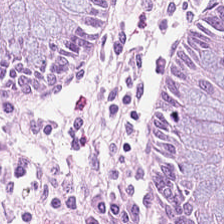Q: What does this patch show?
A: The field shows non-neoplastic colon mucosa.
